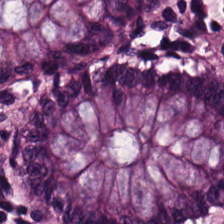Hematoxylin-and-eosin stained section · FFPE · 0.5 microns per pixel. {"tissue_type": "non-neoplastic colon mucosa"}
